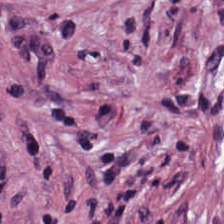Stain: H&E.
Resolution: 0.5 µm per pixel.
Tile size: 224×224 px patch.
Classification: cancer-associated stroma.
